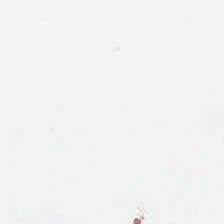H&E-stained tissue section.
This field is background (no tissue).
